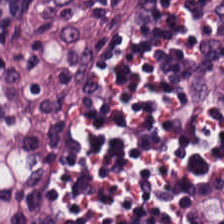H&E stain. Tissue: lymphoid infiltrate.
